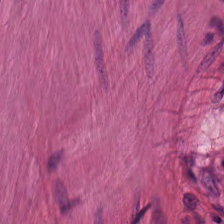H&E stain — Q: What does this patch show?
A: It is smooth-muscle tissue.
